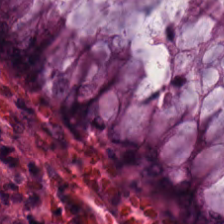Hematoxylin and eosin.
Classification — benign colonic mucosa.
